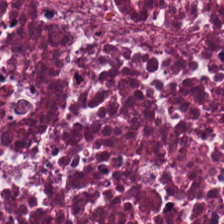224×224 px tile · H&E-stained tissue section. Histology → necrotic debris.
